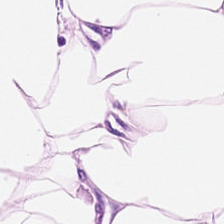Hematoxylin and eosin.
Classification — adipocytes.
